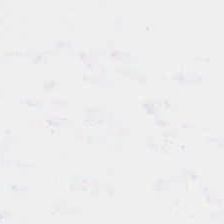Stain: H&E-stained tissue section.
Tile size: 224×224 px patch.
Acquisition: whole-slide-image patch.
Content: background (no tissue).
